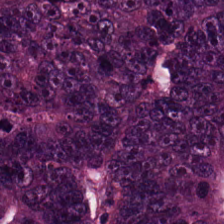Hematoxylin and eosin; brightfield; 0.5 microns per pixel.
Tissue class — colorectal adenocarcinoma epithelium.
